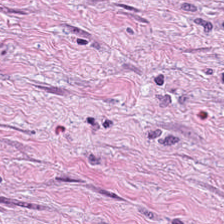H&E; brightfield microscopy; FFPE tissue section. Finding → cancer-associated stroma.
